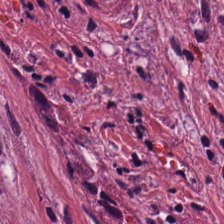H&E; WSI patch.
Histology → tumor-associated stroma.
